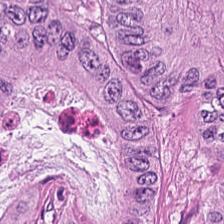224×224 pixel tile · hematoxylin-and-eosin stained section. {"tissue_type": "adenocarcinoma"}
